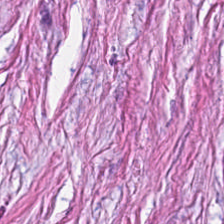H&E stain. This field is desmoplastic stroma.
